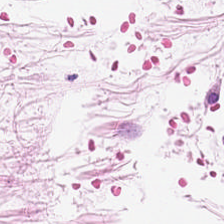H&E. Predominantly adipose tissue.
